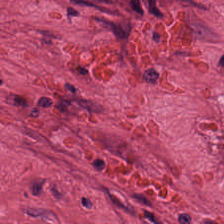H&E-stained tissue section.
Classification = desmoplastic stroma.
